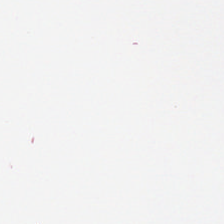Background (no tissue).
